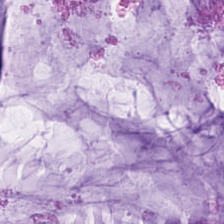Q: Identify the tissue.
A: Mucin.
